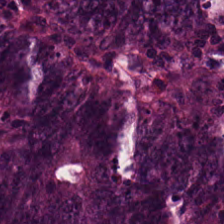H&E. 224×224 pixel tile.
Classification — colorectal adenocarcinoma epithelium.
